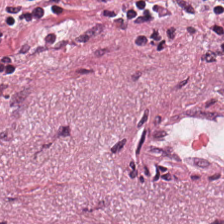Hematoxylin-and-eosin stained section — Q: What is the predominant tissue type?
A: Tumor stroma.
